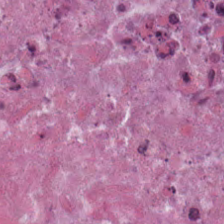H&E-stained tissue section showing cellular debris.
